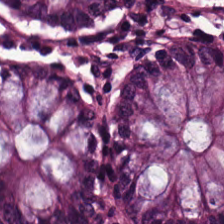FFPE tissue section. 0.5 µm/px. H&E stain.
This patch shows non-neoplastic colon mucosa.
